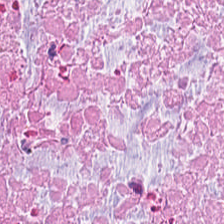H&E stain. The tissue here is necrotic debris.
